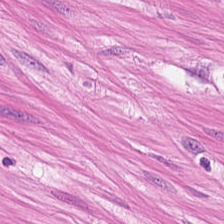Stain: H&E-stained tissue section.
Preparation: formalin-fixed paraffin-embedded section.
Tissue type: smooth-muscle tissue.
